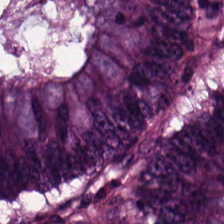Hematoxylin-and-eosin stained section.
Q: What does this patch show?
A: It is tumor epithelium.
